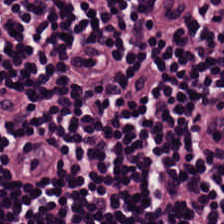Stain: H&E stain.
Tissue type: lymphocytic infiltrate.
